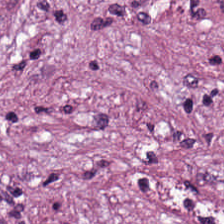H&E stain · 0.5 µm/px · formalin-fixed paraffin-embedded section.
Tumor stroma.
